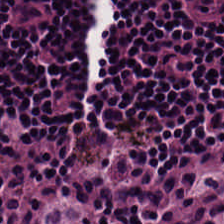Whole-slide-image patch; hematoxylin-and-eosin stained section.
Q: Classify this patch.
A: The field shows lymphocyte aggregate.
